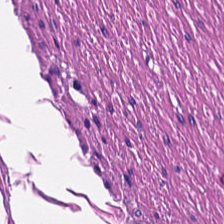Hematoxylin and eosin; 224×224 pixel tile — This field is smooth-muscle tissue.
